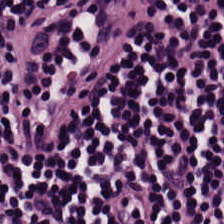H&E-stained tissue section.
The tissue is lymphocytes.
